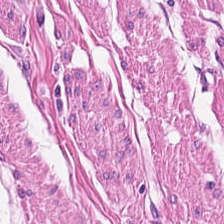FFPE tissue section; hematoxylin and eosin.
Q: What tissue type is shown here?
A: Smooth-muscle tissue.
